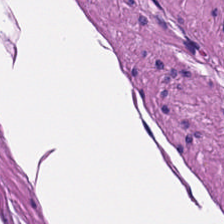H&E-stained tissue section.
Predominant tissue — smooth muscle.
